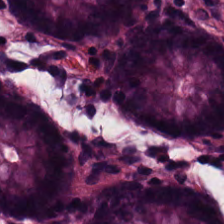H&E. Q: Classify this patch.
A: It is normal colon mucosa.
